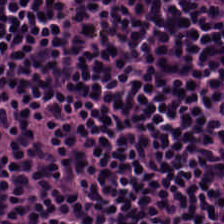Hematoxylin and eosin — The predominant tissue is lymphoid infiltrate.
